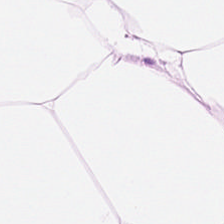Hematoxylin and eosin.
This field is adipose tissue.
